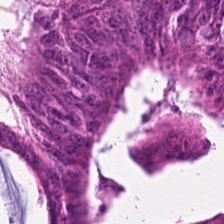Stain: H&E.
Tissue type: colorectal adenocarcinoma.
